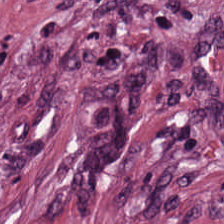H&E. 224×224 pixel tile. Whole-slide-image patch.
Predominantly desmoplastic stroma.
